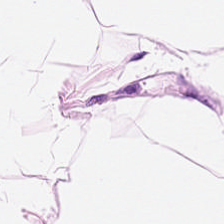FFPE tissue section · H&E stain — Classification: adipocytes.
